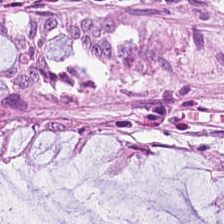H&E · 224×224 px tile — Histology → benign colonic mucosa.
